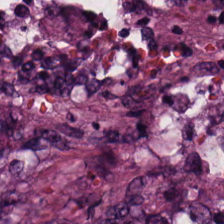Histology → colorectal adenocarcinoma epithelium.
